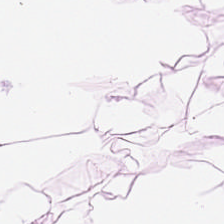H&E-stained tissue section — The classification is adipose.
